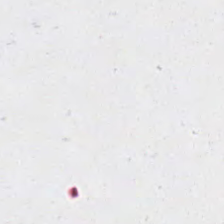224×224 pixel tile. H&E stain. Brightfield microscopy.
The content is background (no tissue).
